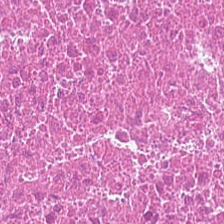Hematoxylin-and-eosin stained section — This field is necrotic debris.
